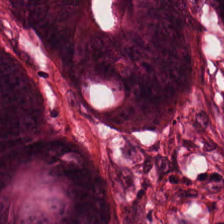{"tissue_type": "colorectal adenocarcinoma epithelium"}
